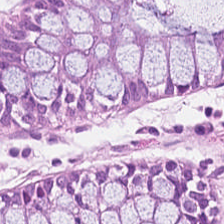H&E-stained section; the field shows non-neoplastic colon mucosa.
